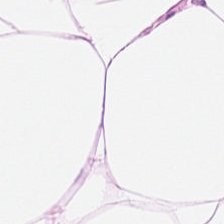Histology → adipose tissue.
